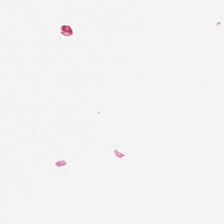H&E-stained tissue section. This field is background (no tissue).
